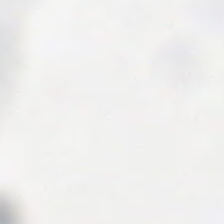This field is background (no tissue).
